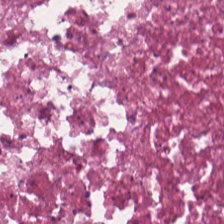Q: What is the predominant tissue type?
A: This is cellular debris.
